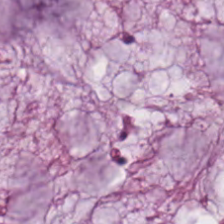H&E; FFPE tissue section; 20× equivalent magnification. {"tissue_type": "extracellular mucin"}
